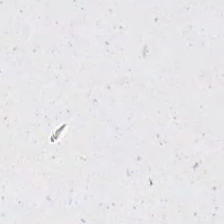H&E stain.
Impression → no tissue.
